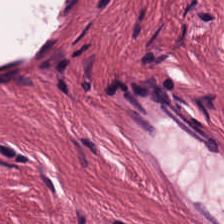Stain: hematoxylin-and-eosin stained section.
Tissue type: tumor stroma.
